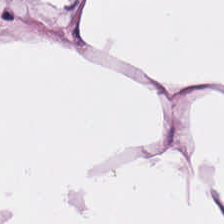H&E stain.
Tissue type — fat tissue.
